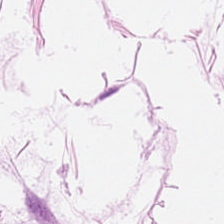0.5 µm/px; WSI patch; hematoxylin and eosin. Q: What tissue type is shown here?
A: Adipocytes.
